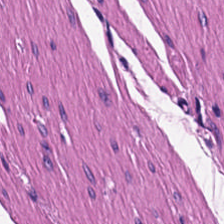H&E stain. FFPE tissue section — Q: What tissue is shown?
A: Muscularis.
